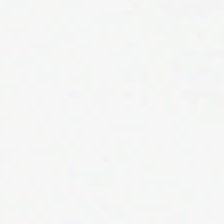WSI patch · H&E — {"content": "empty background"}
